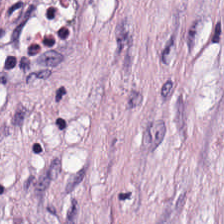H&E-stained tissue section. WSI patch. Histology → tumor stroma.
